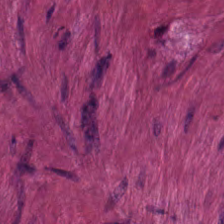Stain: hematoxylin and eosin.
Predominant tissue: muscularis.
